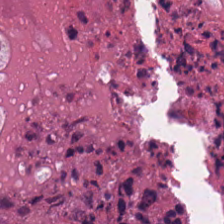H&E stain.
Cellular debris.
